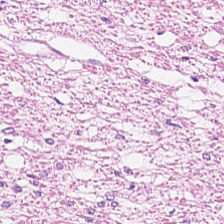Stain: H&E-stained tissue section.
Tissue: smooth-muscle tissue.
